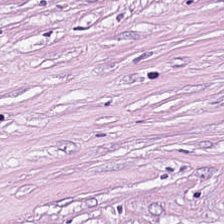Stain: H&E.
Classification: tumor stroma.
